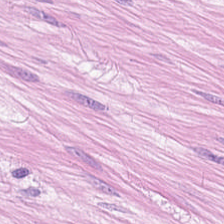224×224 px tile · hematoxylin and eosin.
This field is muscularis.
